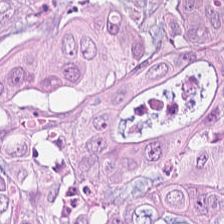Stain: hematoxylin-and-eosin stained section.
Classification: colorectal adenocarcinoma epithelium.
